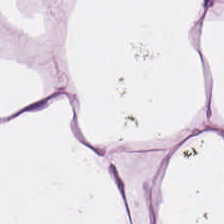Brightfield; H&E stain; 0.5 µm per pixel. Q: What tissue type is shown here?
A: Adipose.
